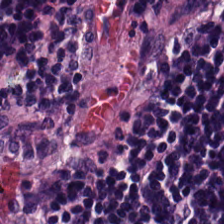0.5 microns per pixel · H&E-stained tissue section.
Histology — lymphocyte aggregate.
